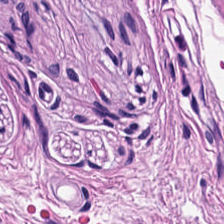Stain: H&E.
Tissue type: smooth-muscle tissue.
